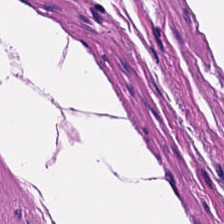H&E stain. Q: What tissue type is shown here?
A: This is smooth-muscle tissue.
